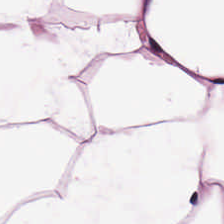H&E-stained tissue section.
This field is adipose tissue.
